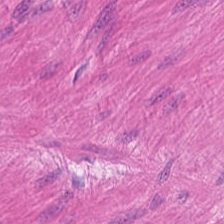Formalin-fixed paraffin-embedded section; hematoxylin-and-eosin stained section; whole-slide-image patch — Q: What does this patch show?
A: It is smooth-muscle tissue.
